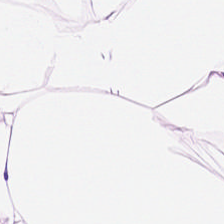H&E.
Q: What does this patch show?
A: The field shows adipose tissue.
